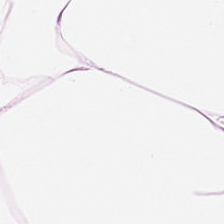Hematoxylin-and-eosin stained section — Adipose.
